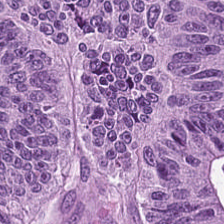H&E-stained tissue section.
Classification = adenocarcinoma.
